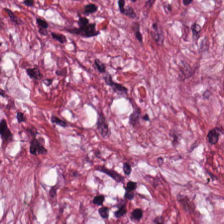H&E. Showing tumor stroma.
